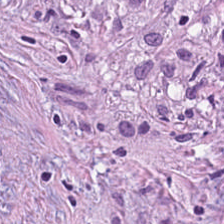H&E patch showing tumor stroma.
